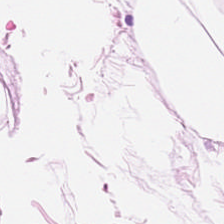Showing adipocytes.
